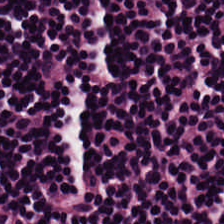224×224 px tile. H&E-stained tissue section — The predominant tissue is lymphocyte aggregate.
